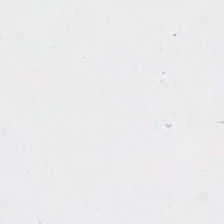H&E-stained tissue section · formalin-fixed paraffin-embedded section.
Classification — no tissue.
